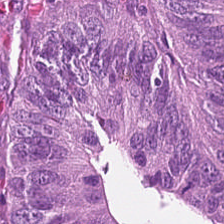H&E-stained tissue section; FFPE tissue section.
{"tissue_type": "tumor epithelium"}
